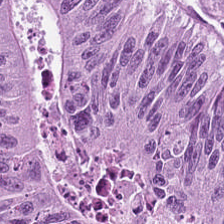Showing colorectal adenocarcinoma epithelium.
